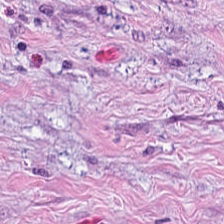Hematoxylin and eosin.
The tissue here is tumor stroma.
